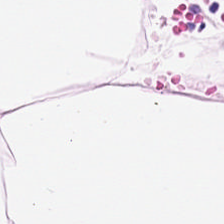Stain: H&E stain.
Resolution: 20× equivalent magnification.
Tissue class: adipose tissue.
